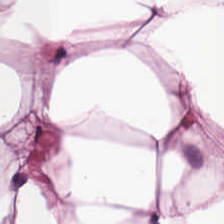H&E — The predominant tissue is fat tissue.
